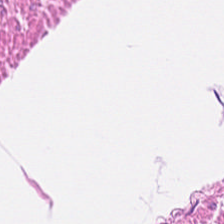Stain: hematoxylin-and-eosin stained section.
Tissue class: smooth-muscle tissue.
